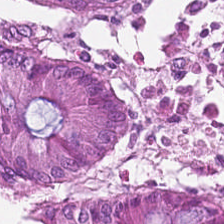Stain: H&E.
Tissue class: normal colon mucosa.
